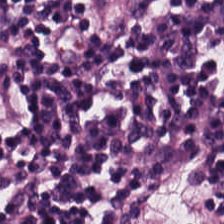The predominant tissue is lymphoid infiltrate.
